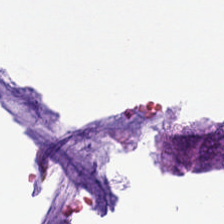H&E. Background — no tissue in this field.
